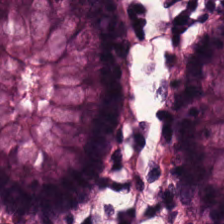H&E. FFPE tissue section.
This patch shows normal colon mucosa.
